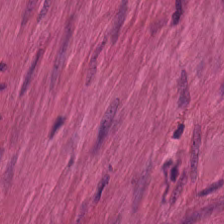0.5 µm/px. H&E-stained tissue section. FFPE — This field is smooth muscle.
